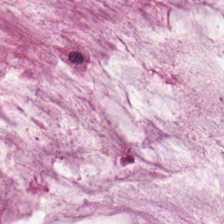H&E-stained tissue section. The tissue type is extracellular mucin.
